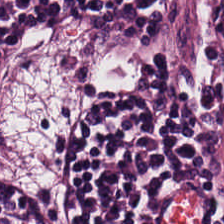0.5 microns per pixel; H&E-stained tissue section; brightfield.
{"tissue_type": "lymphoid infiltrate"}
